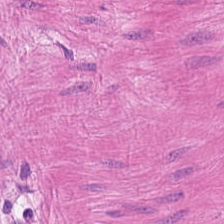0.5 µm/px. Hematoxylin-and-eosin stained section.
{"tissue_type": "muscularis"}
